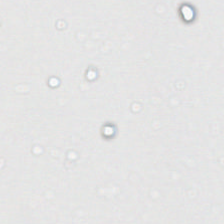Hematoxylin-and-eosin stained section. Histology → background (no tissue).
